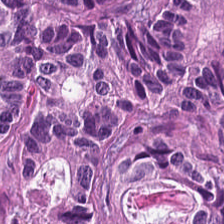Stain: H&E stain.
Predominant tissue: tumor epithelium.
